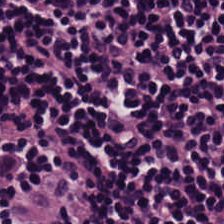FFPE. H&E stain.
Q: What is the predominant tissue type?
A: The field shows lymphocytic infiltrate.
